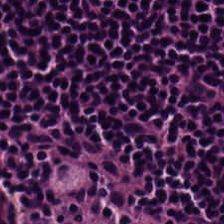Brightfield. 20× equivalent magnification. H&E stain.
Classification = lymphoid infiltrate.
